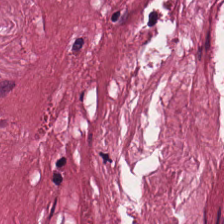H&E-stained tissue section.
Tissue class: cancer-associated stroma.
